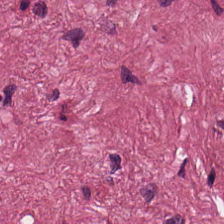Hematoxylin and eosin.
Q: What is shown in this field?
A: Tumor-associated stroma.
